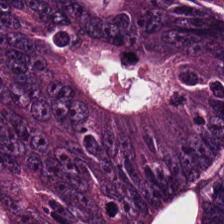Q: What type of tissue is this?
A: This is malignant epithelium.
